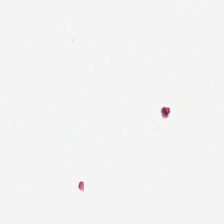Formalin-fixed paraffin-embedded section · H&E-stained tissue section. The content is background (no tissue).
